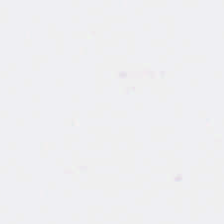Hematoxylin and eosin — No tissue present; background only.
